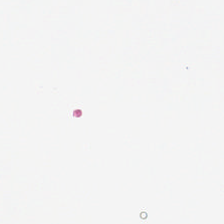H&E stain. Q: What does this patch show?
A: The field shows background.
